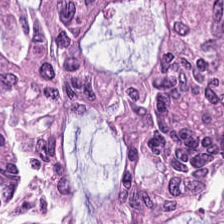FFPE tissue section; brightfield microscopy; hematoxylin-and-eosin stained section.
The tissue here is tumor epithelium.
